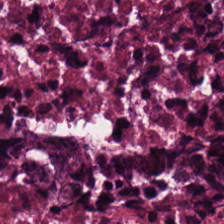Brightfield microscopy; hematoxylin and eosin; 224×224 pixel tile.
This field is necrotic debris.
